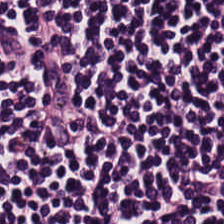224×224 px tile · H&E-stained tissue section · 20× equivalent magnification. {"tissue_type": "lymphocytic infiltrate"}
